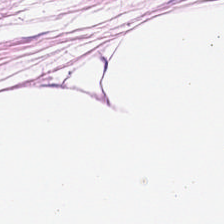H&E-stained tissue section · 20× equivalent magnification. Classification: adipocytes.
